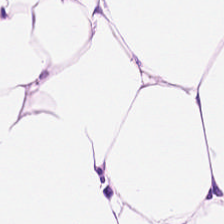Impression → adipose tissue.
